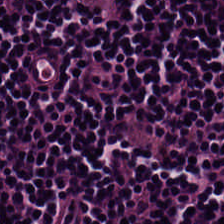Hematoxylin and eosin.
The tissue here is lymphocytic infiltrate.
